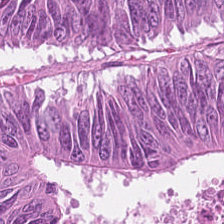Hematoxylin and eosin — Colorectal adenocarcinoma.
